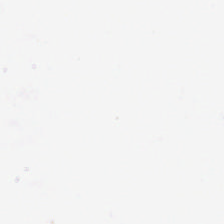224×224 px tile; H&E. Content: empty background.
